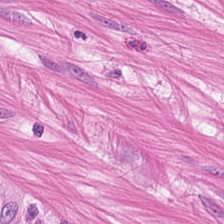Showing smooth-muscle tissue.
